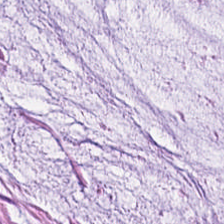224×224 pixel tile. WSI patch. H&E stain — Predominantly mucin.
